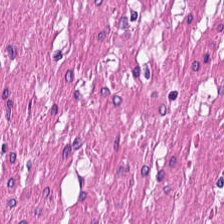Stain: hematoxylin-and-eosin stained section.
Predominant tissue: smooth-muscle tissue.
